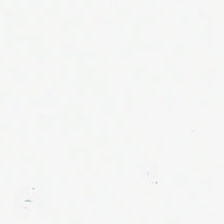H&E stain.
Histology → empty background.
